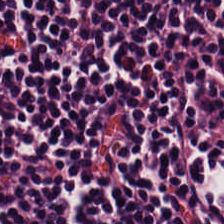H&E-stained section; the field shows lymphocytic infiltrate.
